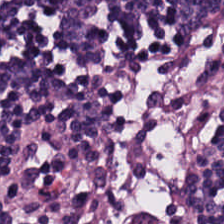Brightfield microscopy. H&E-stained tissue section. 20× equivalent magnification. Predominantly lymphoid infiltrate.
